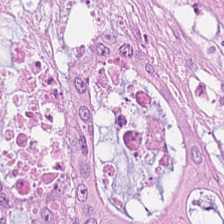Formalin-fixed paraffin-embedded section. 0.5 µm per pixel. H&E stain.
This patch shows adenocarcinoma.
